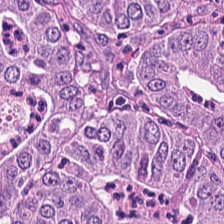0.5 µm/px; H&E; brightfield — This field is colorectal adenocarcinoma.
